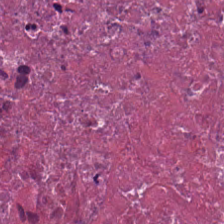FFPE; hematoxylin and eosin; 0.5 µm/px — Q: Identify the tissue.
A: Debris.
